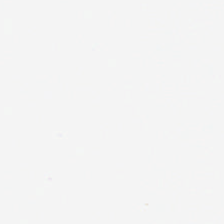Finding — background.
